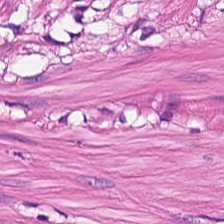H&E-stained tissue section; brightfield microscopy; 224×224 px patch.
Tissue = smooth-muscle tissue.
